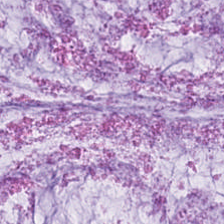H&E-stained tissue section.
This field is mucus.
